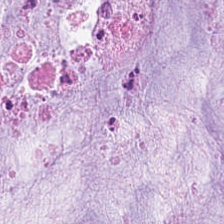WSI patch; hematoxylin and eosin.
Tissue type — mucus.
